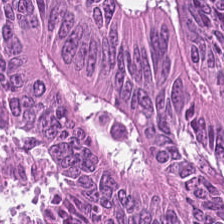H&E-stained tissue section showing tumor epithelium.
